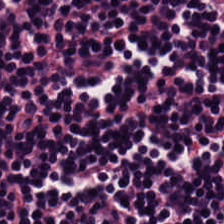H&E — Showing lymphocytes.
